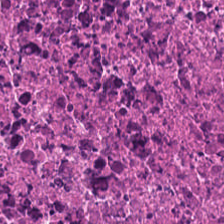Hematoxylin-and-eosin stained section.
The tissue type is cellular debris.
